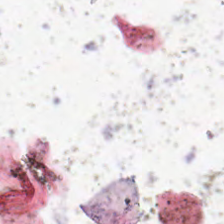Stain: H&E-stained tissue section.
Tile size: 224×224 pixel tile.
Field content: empty background.
